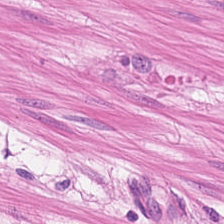Hematoxylin-and-eosin stained section. Tissue = smooth-muscle tissue.
